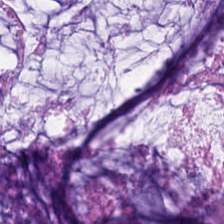Q: What does this patch show?
A: This is mucin.
